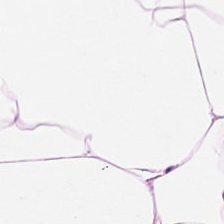Q: What is shown in this field?
A: It is adipocytes.
